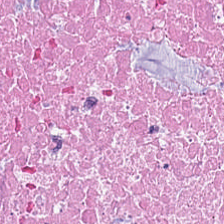Tissue class = cellular debris.
